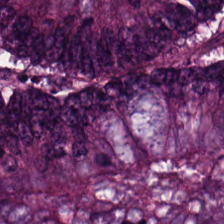0.5 microns per pixel · H&E-stained tissue section · 224×224 px tile.
The tissue is colorectal adenocarcinoma epithelium.
